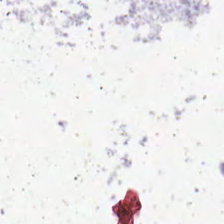Q: Classify this patch.
A: The field shows empty background.
